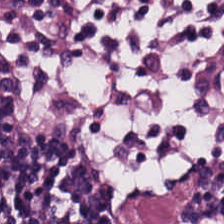Hematoxylin and eosin. Formalin-fixed paraffin-embedded section.
The classification is lymphoid infiltrate.
